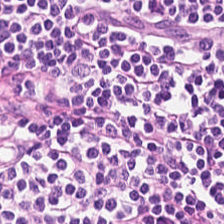Hematoxylin-and-eosin stained section · 20× equivalent magnification. The tissue type is lymphocyte aggregate.
